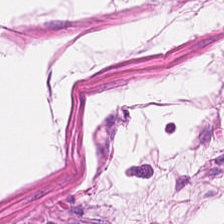H&E. Q: What type of tissue is this?
A: It is smooth-muscle tissue.
